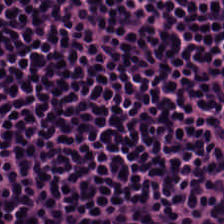H&E-stained tissue section. Classification = lymphocytic infiltrate.
